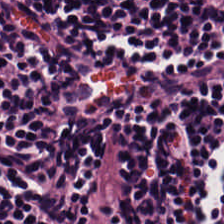Stain: H&E.
Acquisition: brightfield.
Tissue class: lymphocytes.
